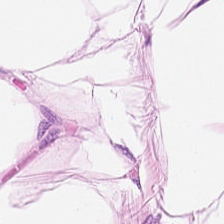Stain: H&E stain.
Classification: adipose tissue.
